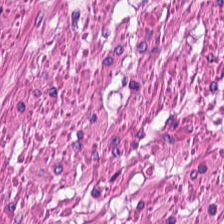Hematoxylin and eosin — Impression — smooth muscle.
